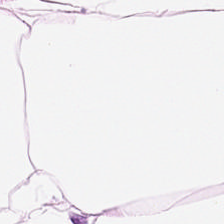H&E-stained tissue section.
Adipocytes.
